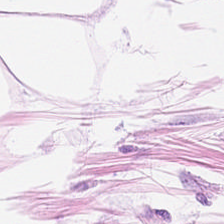H&E patch showing fat tissue.
